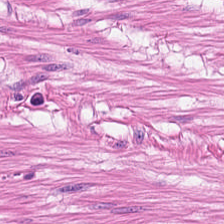H&E-stained tissue section. This patch shows muscularis.
